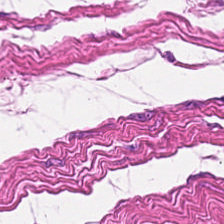H&E-stained tissue section · whole-slide-image patch · 0.5 microns per pixel. The tissue here is muscularis.
